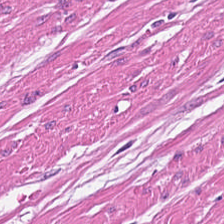0.5 µm/px; H&E stain — Smooth muscle.
